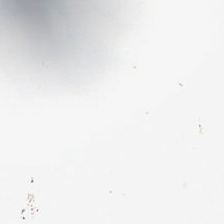Hematoxylin and eosin.
{"content": "empty background"}
